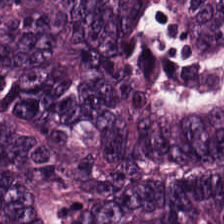H&E-stained tissue section. The predominant tissue is colorectal adenocarcinoma.
